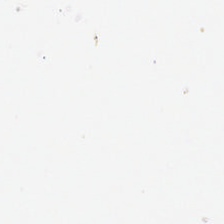H&E. Empty field — background (no tissue).
